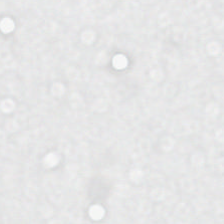H&E-stained tissue section. Histology → empty background.
